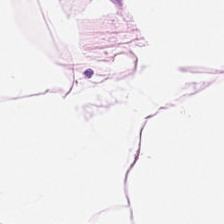Brightfield microscopy. Hematoxylin and eosin — Q: What is shown here?
A: The field shows fat tissue.
